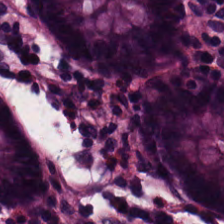Hematoxylin-and-eosin stained section. The predominant tissue is normal colon mucosa.
